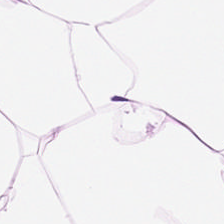H&E stain. Tissue type: adipose.
